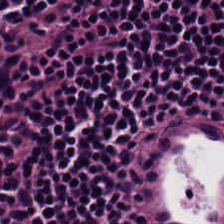20× equivalent magnification; hematoxylin and eosin — Lymphoid infiltrate.
